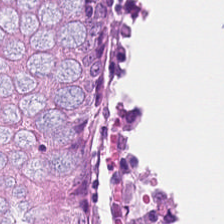H&E — non-neoplastic colon mucosa.
